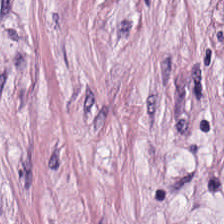224×224 px patch; H&E; formalin-fixed paraffin-embedded section.
Classification: tumor-associated stroma.
